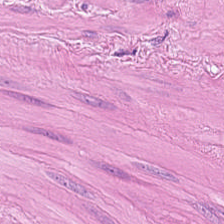This field is smooth-muscle tissue.
